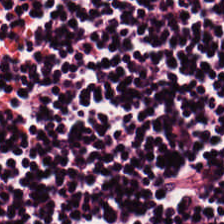Hematoxylin-and-eosin stained section. Impression → lymphocyte aggregate.
